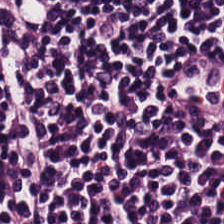H&E-stained tissue section.
Tissue type — lymphoid infiltrate.
